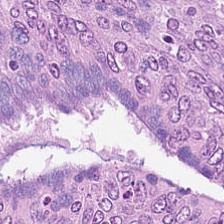FFPE. H&E — Q: What type of tissue is this?
A: The field shows tumor epithelium.
